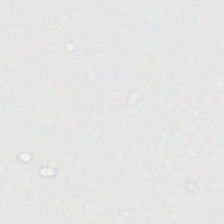Whole-slide-image patch. H&E. Q: What is shown in this field?
A: No tissue.
